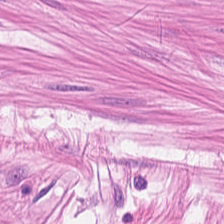0.5 µm/px. H&E — Impression — smooth-muscle tissue.
